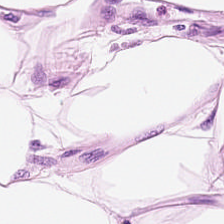Brightfield. H&E. The tissue here is adipocytes.
